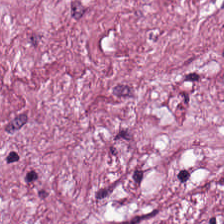224×224 pixel tile. Hematoxylin and eosin — Q: What does this patch show?
A: This is cancer-associated stroma.
